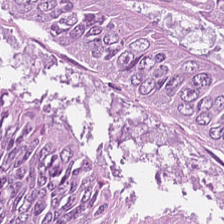Finding → adenocarcinoma.
